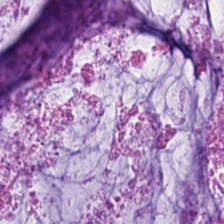H&E — extracellular mucin.
